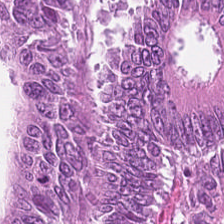Hematoxylin and eosin.
The tissue class is adenocarcinoma.
